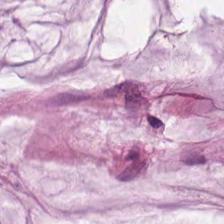H&E stain · 0.5 µm per pixel.
Mucin.
